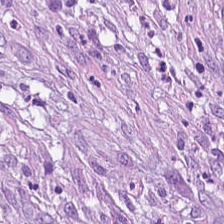H&E — cancer-associated stroma.
